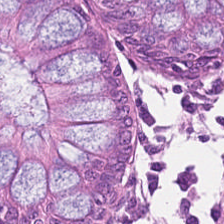Q: What is the predominant tissue type?
A: It is non-neoplastic colon mucosa.
